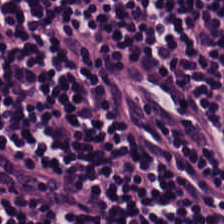FFPE tissue section; 0.5 µm/px; hematoxylin and eosin.
Tissue class: lymphoid infiltrate.
